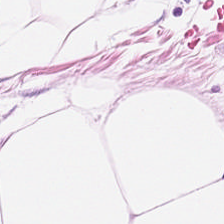Hematoxylin-and-eosin stained section. The tissue is adipose tissue.
